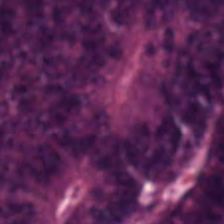Stain: H&E-stained tissue section.
Preparation: FFPE tissue section.
Tile size: 224×224 pixel tile.
Classification: colorectal adenocarcinoma epithelium.
